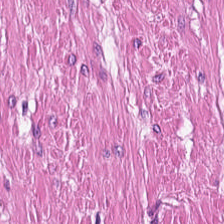H&E — Finding → muscularis.
